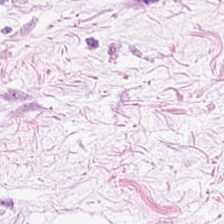H&E · 224×224 px tile · brightfield microscopy — Predominantly adipose tissue.
